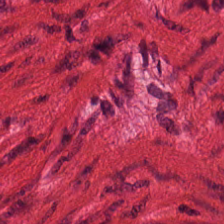H&E-stained tissue section. Whole-slide-image patch.
Predominant tissue: smooth muscle.
